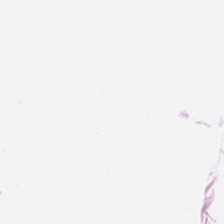Hematoxylin and eosin; FFPE.
Tissue = fat tissue.
